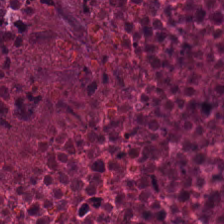Hematoxylin and eosin. {"tissue_type": "cellular debris"}
